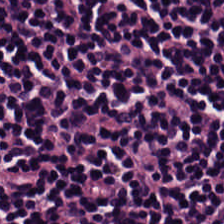Hematoxylin-and-eosin stained section; formalin-fixed paraffin-embedded section.
{"tissue_type": "lymphocyte aggregate"}
